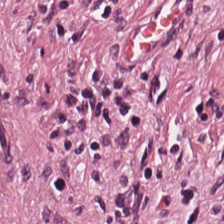Impression → desmoplastic stroma.
